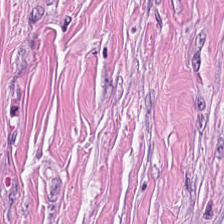Whole-slide-image patch; H&E stain; 0.5 µm/px.
Predominant tissue = tumor-associated stroma.
